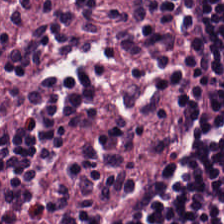H&E-stained tissue section. Showing lymphocyte aggregate.
